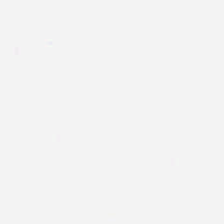WSI patch; H&E-stained tissue section — {"content": "background"}
